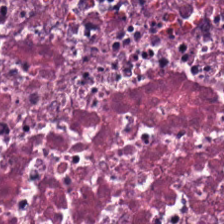H&E-stained section; the field shows debris.
